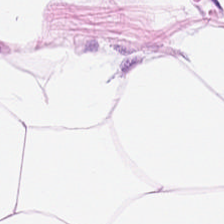224×224 px tile · whole-slide-image patch · H&E.
Q: What tissue is shown?
A: This is adipose tissue.
